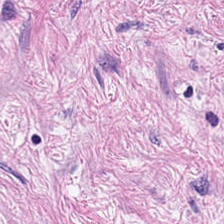Stain: H&E.
Tissue: cancer-associated stroma.
